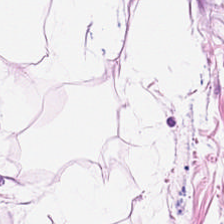Brightfield; hematoxylin-and-eosin stained section. Showing fat tissue.
